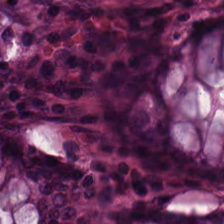H&E-stained tissue section.
Showing normal colon mucosa.
